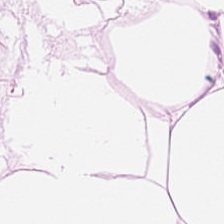Hematoxylin-and-eosin stained section; brightfield.
Tissue type = fat tissue.
